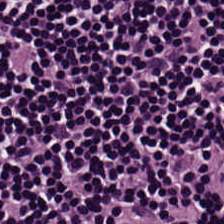Stain: H&E-stained tissue section.
Tissue type: lymphoid infiltrate.
